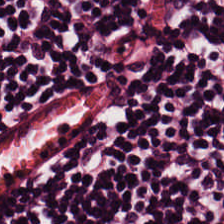Stain: H&E.
Tissue type: lymphocytes.
